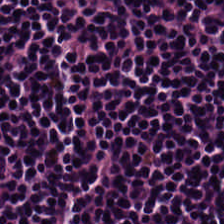224×224 px patch; H&E. The tissue type is lymphocytes.
